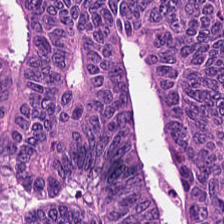Brightfield microscopy · hematoxylin-and-eosin stained section. Predominantly malignant epithelium.
